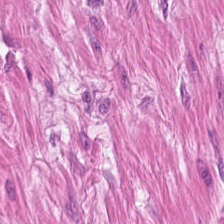Stain: H&E.
Tile size: 224×224 px tile.
Classification: smooth muscle.
